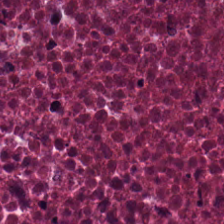Hematoxylin-and-eosin stained section; 224×224 px tile — Impression — debris.
